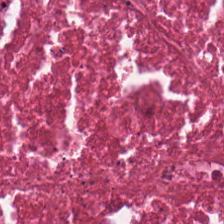H&E patch showing cellular debris.
